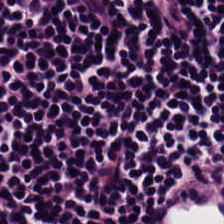0.5 µm/px · H&E-stained tissue section. Showing lymphocytic infiltrate.
